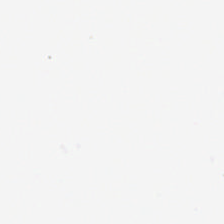H&E-stained tissue section. Impression → background (no tissue).
